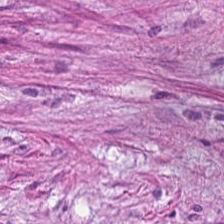Q: What is shown in this field?
A: This is tumor-associated stroma.
